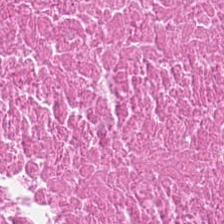Stain: H&E.
Tissue class: debris.
